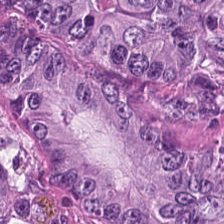The predominant tissue is adenocarcinoma.
